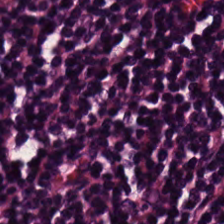Brightfield microscopy; H&E-stained tissue section.
Predominantly lymphocyte aggregate.
